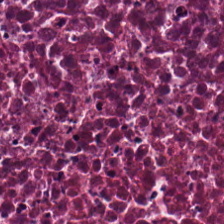H&E stain. Q: What does this patch show?
A: It is necrotic debris.
